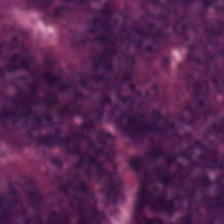H&E.
Showing adenocarcinoma.
